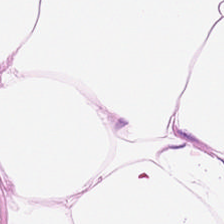Hematoxylin and eosin · brightfield microscopy. This field is adipocytes.
